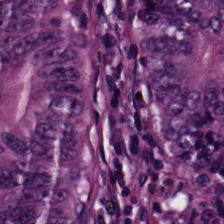Hematoxylin-and-eosin stained section — The predominant tissue is adenocarcinoma.
